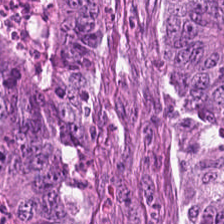Tissue = tumor epithelium.
